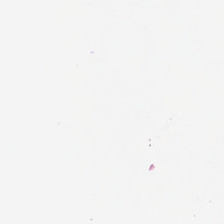H&E-stained tissue section.
Background.
